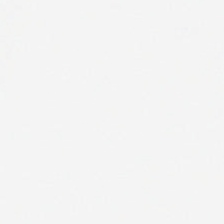H&E — Impression → empty background.
